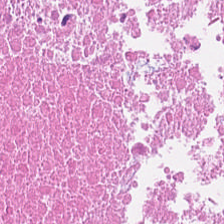0.5 µm/px. H&E-stained tissue section. The predominant tissue is necrotic debris.
